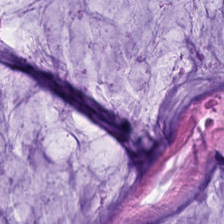The tissue here is mucus.
